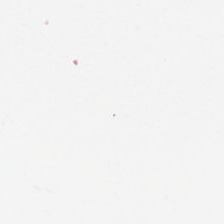Stain: hematoxylin-and-eosin stained section.
Content: background (no tissue).
